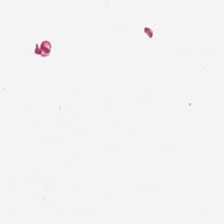H&E-stained tissue section. 224×224 px tile. Content = empty background.
